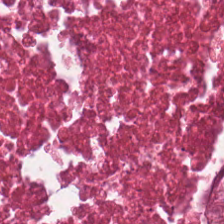H&E. 0.5 µm/px. Debris.
